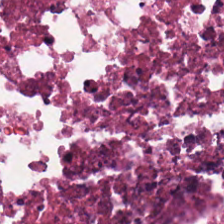H&E patch showing necrotic debris.
